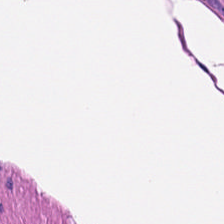This patch shows smooth-muscle tissue.
